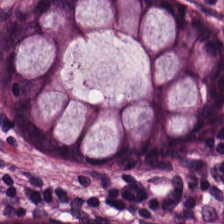Hematoxylin and eosin. 224×224 px tile. Q: What is the predominant tissue type?
A: Normal colon mucosa.
